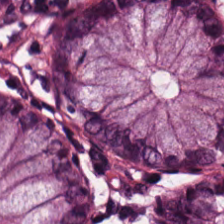Hematoxylin and eosin. Q: What is the predominant tissue type?
A: It is benign colonic mucosa.
